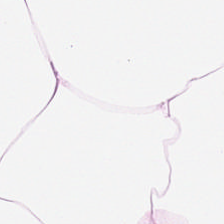H&E patch showing adipocytes.
